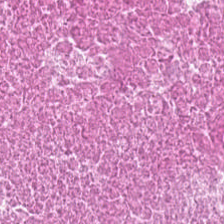224×224 pixel tile. H&E — Classification = necrotic debris.
